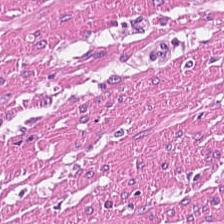Hematoxylin-and-eosin stained section — Predominant tissue — smooth-muscle tissue.
